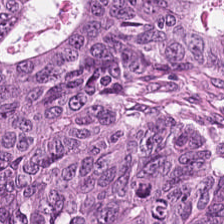Stain: H&E-stained tissue section.
Tissue: colorectal adenocarcinoma epithelium.
